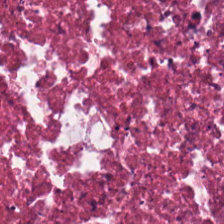Stain: hematoxylin and eosin.
Acquisition: WSI patch.
Tissue class: cellular debris.
